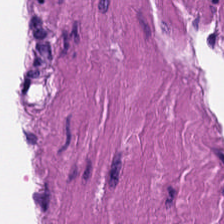Stain: hematoxylin-and-eosin stained section.
Resolution: 0.5 µm/px.
Tissue class: muscularis.
